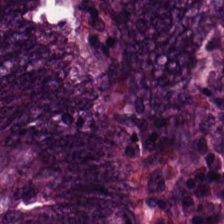Q: Identify the tissue.
A: It is colorectal adenocarcinoma epithelium.
